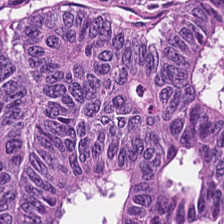H&E-stained tissue section — Predominantly colorectal adenocarcinoma.
